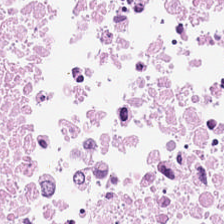Hematoxylin and eosin.
Q: What is shown in this field?
A: Necrotic debris.
